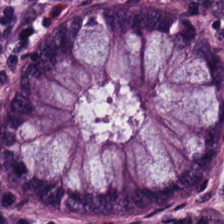H&E-stained tissue section — Q: What is the predominant tissue type?
A: Non-neoplastic colon mucosa.
